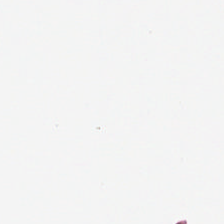Content: no tissue.
